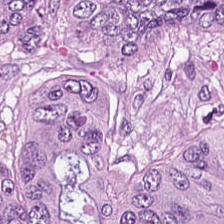H&E — colorectal adenocarcinoma epithelium.
